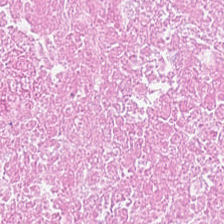Stain: H&E-stained tissue section.
Tissue class: necrotic debris.
